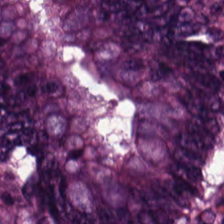224×224 px tile · H&E stain · 20× equivalent magnification — Predominant tissue: adenocarcinoma.
